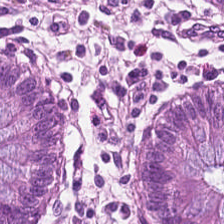This field is normal colon mucosa.
